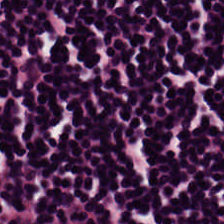Hematoxylin and eosin — Histology — lymphoid infiltrate.
